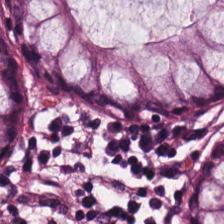Formalin-fixed paraffin-embedded section · H&E stain — Q: What is the predominant tissue type?
A: The field shows normal colonic mucosa.
